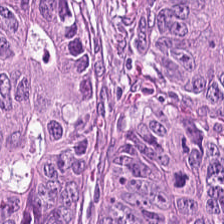The classification is malignant epithelium.
